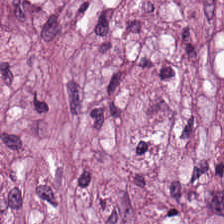H&E stain; 224×224 px patch. Predominant tissue — cancer-associated stroma.
